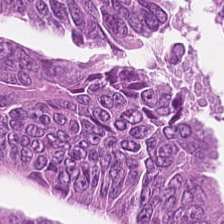Predominantly colorectal adenocarcinoma epithelium.
